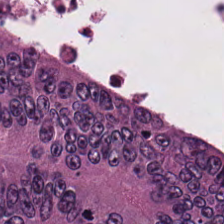Tissue type — colorectal adenocarcinoma.
